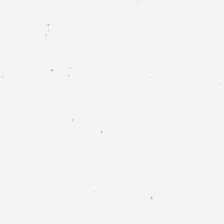H&E — Empty field — background (no tissue).
